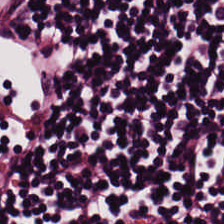Q: What type of tissue is this?
A: Lymphocyte aggregate.
